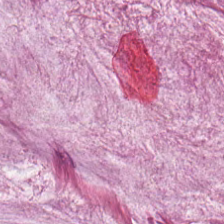Hematoxylin-and-eosin stained section; FFPE tissue section. Q: What type of tissue is this?
A: This is extracellular mucin.
